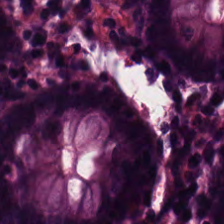Hematoxylin-and-eosin stained section · 224×224 px tile · 20× equivalent magnification. {"tissue_type": "normal colonic mucosa"}
